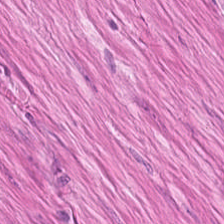Predominant tissue — smooth-muscle tissue.
